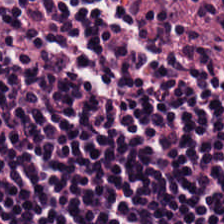FFPE · H&E-stained tissue section. Predominant tissue: lymphoid infiltrate.
